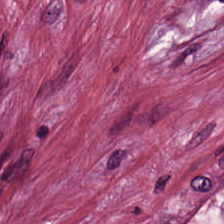224×224 px patch. Hematoxylin-and-eosin stained section. Brightfield microscopy — The tissue is cancer-associated stroma.
